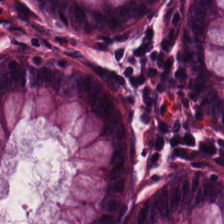Predominantly normal colon mucosa.
